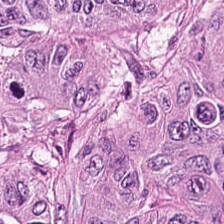0.5 µm/px; H&E-stained tissue section; FFPE tissue section. The tissue here is colorectal adenocarcinoma epithelium.
